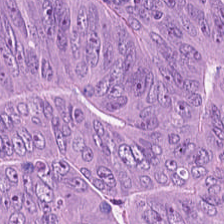Hematoxylin and eosin — Impression — colorectal adenocarcinoma.
